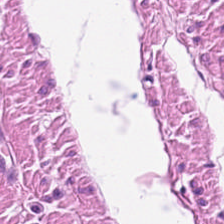H&E-stained tissue section · formalin-fixed paraffin-embedded section — The classification is smooth muscle.
